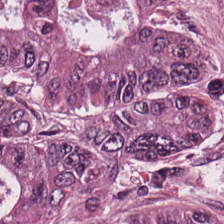H&E stain.
Finding → tumor epithelium.
